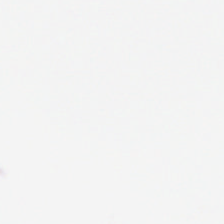Hematoxylin-and-eosin stained section · 224×224 px tile.
Classification: background.
